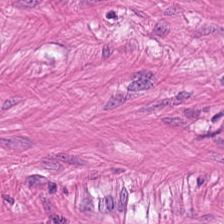Hematoxylin-and-eosin stained section. 224×224 px patch. Histology — smooth muscle.
